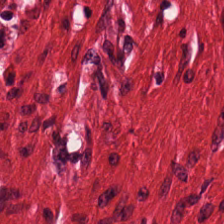H&E — Histology → muscularis.
